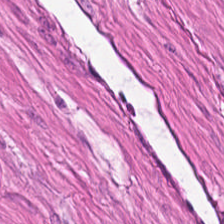Hematoxylin and eosin; 224×224 pixel tile — This patch shows muscularis.
